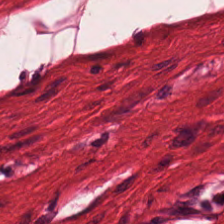Hematoxylin-and-eosin stained section — Q: Identify the tissue.
A: The field shows muscularis.
